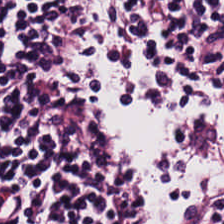0.5 µm per pixel; hematoxylin-and-eosin stained section; brightfield microscopy — Showing lymphoid infiltrate.
